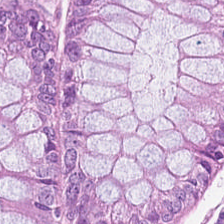Q: What is the predominant tissue type?
A: The field shows benign colonic mucosa.
